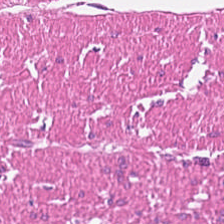Stain: hematoxylin-and-eosin stained section.
Tissue type: smooth muscle.
